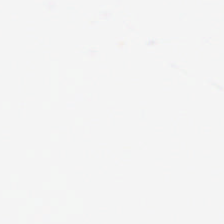FFPE; H&E stain; whole-slide-image patch.
The classification is background (no tissue).
